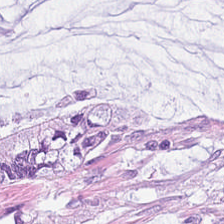Brightfield; H&E stain — Mucus.
